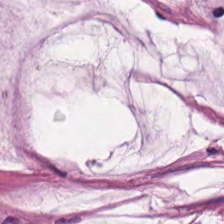Tissue type = mucus.
